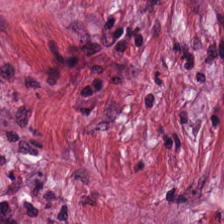Hematoxylin and eosin — Q: Classify this patch.
A: This is desmoplastic stroma.
